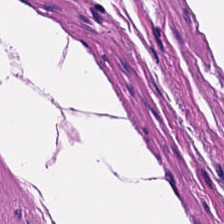The classification is smooth muscle.
